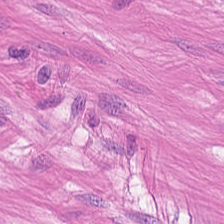H&E. Q: Classify this patch.
A: This is smooth muscle.
